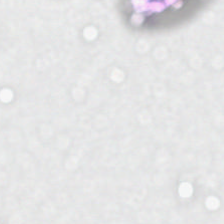Stain: hematoxylin-and-eosin stained section.
Field content: background (no tissue).
